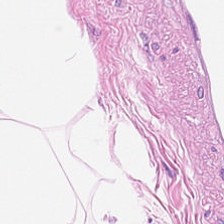224×224 pixel tile; hematoxylin-and-eosin stained section — Predominantly fat tissue.
